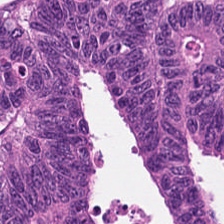Showing tumor epithelium.
